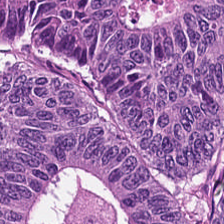Hematoxylin and eosin · 224×224 pixel tile · 0.5 µm/px. Tissue type — colorectal adenocarcinoma epithelium.
